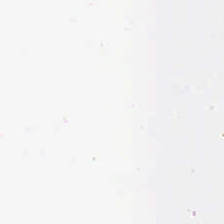Stain: H&E.
Acquisition: brightfield.
Field content: empty background.
